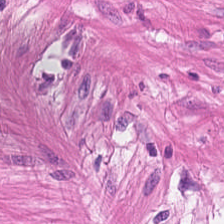H&E-stained tissue section — {"tissue_type": "smooth-muscle tissue"}
